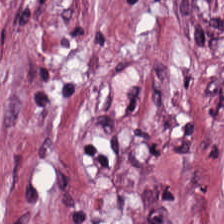Hematoxylin-and-eosin stained section · WSI patch.
Q: Identify the tissue.
A: It is tumor-associated stroma.
